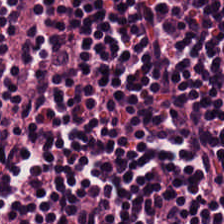Hematoxylin and eosin · 224×224 px patch.
Showing lymphocytes.
